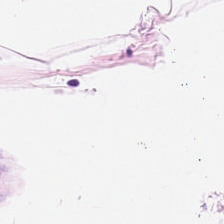H&E · brightfield.
Tissue class = fat tissue.
